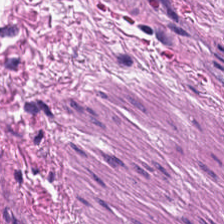H&E.
Tissue: smooth-muscle tissue.
